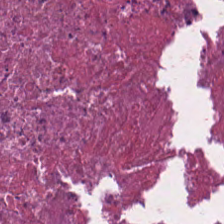H&E-stained tissue section. Brightfield microscopy — Predominantly cellular debris.
